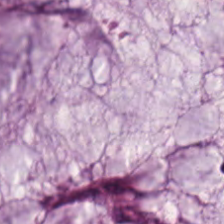Hematoxylin-and-eosin stained section.
Predominant tissue: extracellular mucin.
